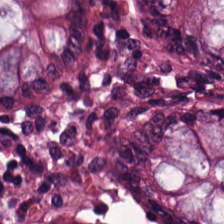Hematoxylin-and-eosin stained section. The predominant tissue is non-neoplastic colon mucosa.
